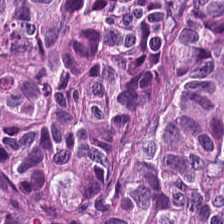H&E-stained section; the field shows colorectal adenocarcinoma.
